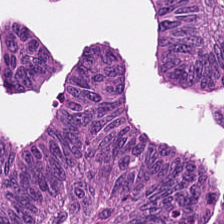H&E — Tissue: colorectal adenocarcinoma.
